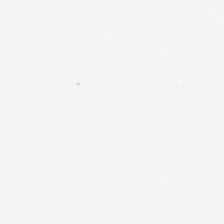H&E.
Classification — no tissue.
